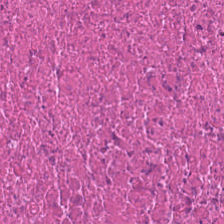Hematoxylin-and-eosin stained section — Tissue: debris.
